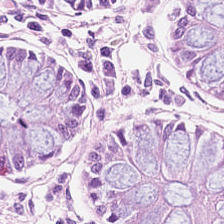H&E-stained section; the field shows benign colonic mucosa.
